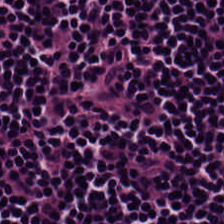Stain: H&E-stained tissue section.
Acquisition: brightfield.
Preparation: FFPE tissue section.
Classification: lymphocytic infiltrate.
